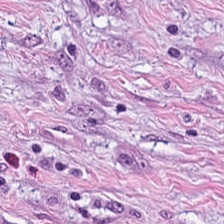H&E-stained tissue section.
The tissue here is desmoplastic stroma.
